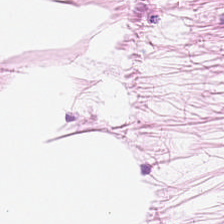Stain: H&E-stained tissue section.
Tissue class: adipocytes.
